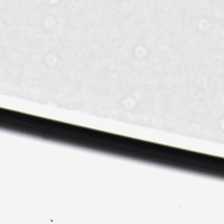H&E-stained tissue section; brightfield microscopy — Q: Classify this patch.
A: It is empty background.
